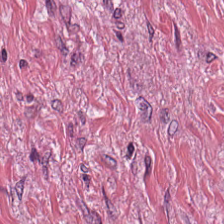Stain: H&E.
Tissue type: tumor stroma.
